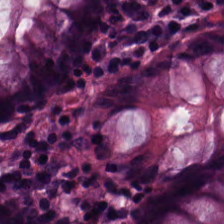Hematoxylin-and-eosin stained section. 0.5 microns per pixel.
Q: What tissue is shown?
A: Benign colonic mucosa.
